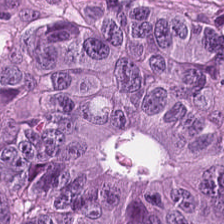H&E stain.
Tissue class — malignant epithelium.
